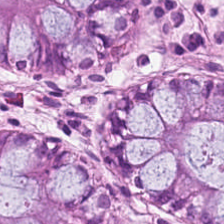Hematoxylin and eosin.
Finding → normal colon mucosa.
